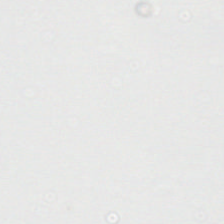Hematoxylin-and-eosin stained section. Background.
